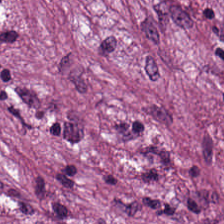H&E stain.
Q: What is shown in this field?
A: Tumor-associated stroma.
